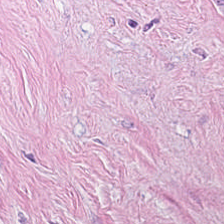Hematoxylin-and-eosin stained section; FFPE tissue section; 0.5 µm/px.
Predominantly desmoplastic stroma.
